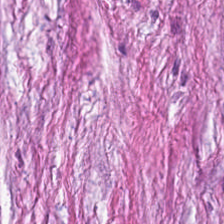H&E-stained tissue section; brightfield; formalin-fixed paraffin-embedded section.
Finding — cancer-associated stroma.
